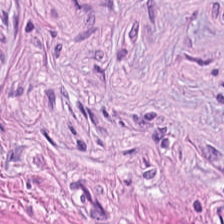Brightfield microscopy; hematoxylin and eosin.
Q: Classify this patch.
A: It is smooth-muscle tissue.
